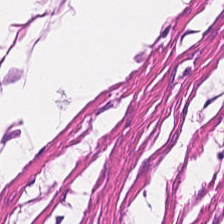H&E.
Predominantly smooth-muscle tissue.
